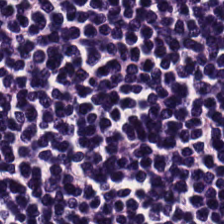Hematoxylin-and-eosin stained section.
The predominant tissue is lymphocyte aggregate.
